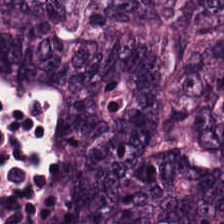Brightfield; H&E stain; formalin-fixed paraffin-embedded section. Tissue — adenocarcinoma.
